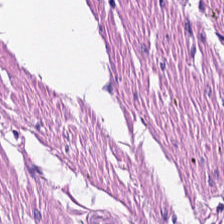Brightfield microscopy · H&E stain. The predominant tissue is muscularis.
